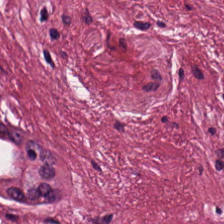{"tissue_type": "cancer-associated stroma"}
